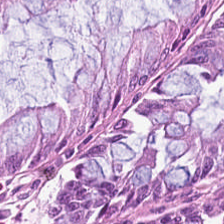Hematoxylin-and-eosin stained section. The tissue is benign colonic mucosa.
